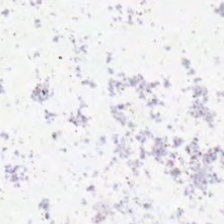Stain: hematoxylin and eosin.
Content: empty background.
